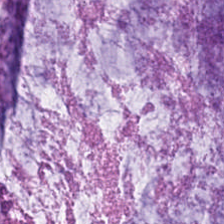224×224 pixel tile; hematoxylin-and-eosin stained section; formalin-fixed paraffin-embedded section.
Extracellular mucin.
